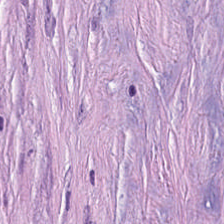This patch shows tumor stroma.
